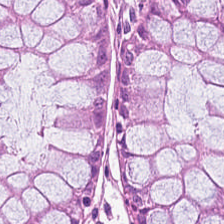H&E-stained tissue section — Impression — benign colonic mucosa.
